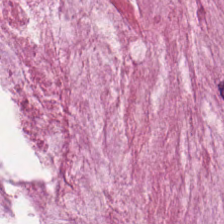Whole-slide-image patch. 224×224 px tile. Hematoxylin and eosin.
This patch shows extracellular mucin.
